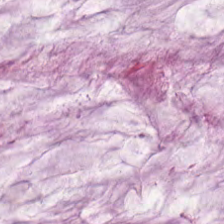Hematoxylin and eosin; 224×224 px patch — {"tissue_type": "extracellular mucin"}
